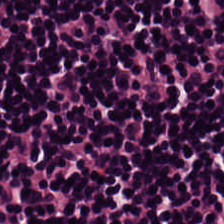Finding → lymphocyte aggregate.
